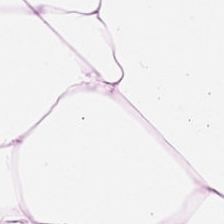H&E stain; formalin-fixed paraffin-embedded section.
{"tissue_type": "adipose tissue"}
